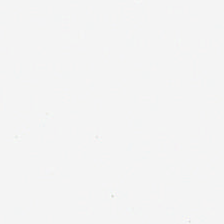H&E. Background — no tissue in this field.
